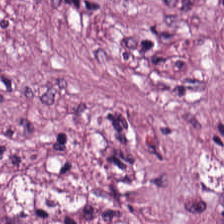H&E-stained section; the field shows cancer-associated stroma.
